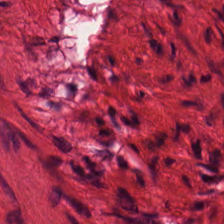H&E stain; 20× equivalent magnification — The predominant tissue is muscularis.
